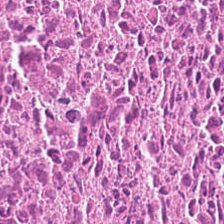Hematoxylin-and-eosin stained section — Tissue = debris.
